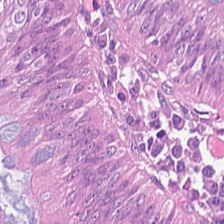Histology — malignant epithelium.
